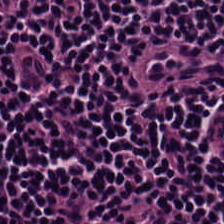Stain: H&E.
Classification: lymphocyte aggregate.
